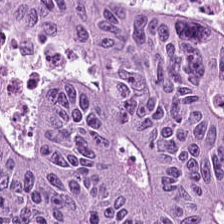H&E stain. Tissue class: tumor epithelium.
